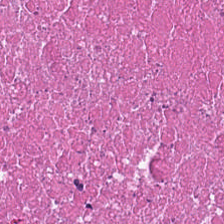0.5 microns per pixel · H&E · FFPE — The tissue class is cellular debris.
